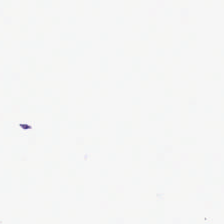H&E — Background — no tissue in this field.
